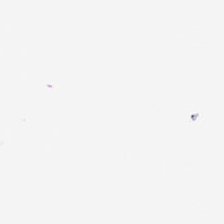Brightfield · FFPE · H&E stain.
Impression — no tissue.
